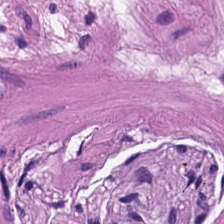Stain: H&E-stained tissue section.
Resolution: 0.5 µm/px.
Acquisition: whole-slide-image patch.
Tissue class: smooth-muscle tissue.
